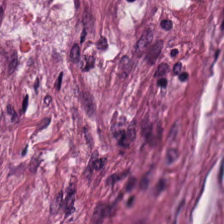Hematoxylin-and-eosin stained section · formalin-fixed paraffin-embedded section. Predominant tissue: tumor-associated stroma.
